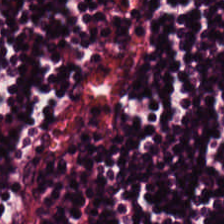Stain: H&E-stained tissue section.
Tissue type: lymphocytes.
